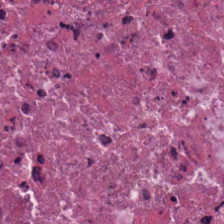224×224 pixel tile. H&E stain. {"tissue_type": "debris"}
